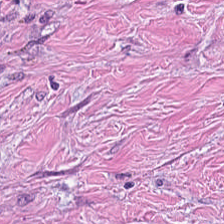Impression → cancer-associated stroma.
